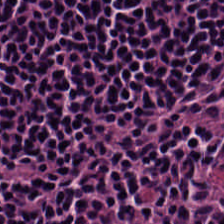224×224 pixel tile; hematoxylin and eosin; FFPE tissue section.
The predominant tissue is lymphocyte aggregate.
